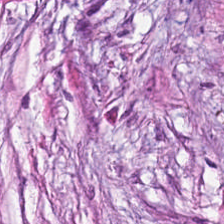Hematoxylin-and-eosin stained section.
Q: What does this patch show?
A: It is tumor stroma.
